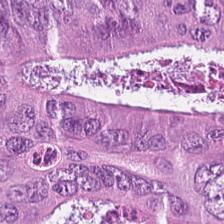Stain: hematoxylin and eosin.
Resolution: 0.5 µm/px.
Predominant tissue: colorectal adenocarcinoma epithelium.
